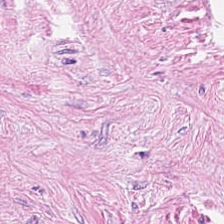Hematoxylin and eosin · formalin-fixed paraffin-embedded section.
The tissue type is tumor stroma.
